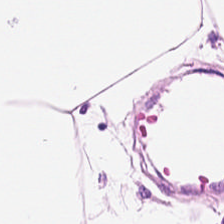This patch shows adipose.
